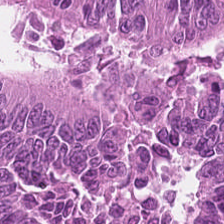Stain: H&E stain.
Tile size: 224×224 pixel tile.
Tissue: colorectal adenocarcinoma.
